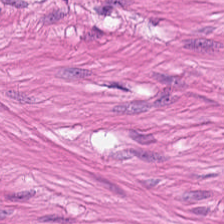The tissue here is smooth muscle.
